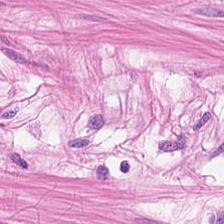224×224 pixel tile; hematoxylin and eosin. Impression → smooth-muscle tissue.
